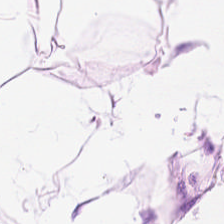Hematoxylin-and-eosin stained section. Classification = fat tissue.
